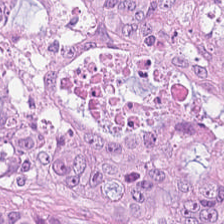Tissue type = tumor epithelium.
